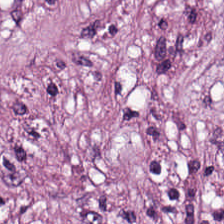224×224 px tile; WSI patch; H&E-stained tissue section — Cancer-associated stroma.
